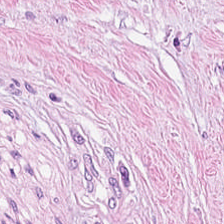Stain: hematoxylin-and-eosin stained section.
Tissue type: tumor stroma.
